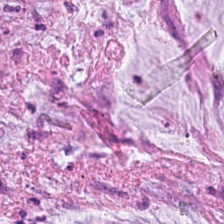Hematoxylin-and-eosin stained section. 0.5 µm per pixel — Mucin.
